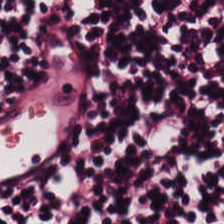Stain: hematoxylin and eosin.
Preparation: FFPE tissue section.
Tissue: lymphocytes.
